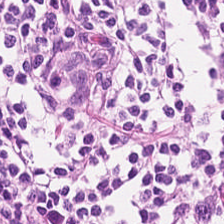Whole-slide-image patch; H&E — Predominant tissue = smooth muscle.
